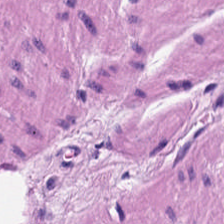{"tissue_type": "smooth muscle"}
